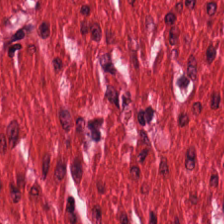Whole-slide-image patch; 0.5 µm/px; hematoxylin and eosin.
The tissue here is smooth muscle.
